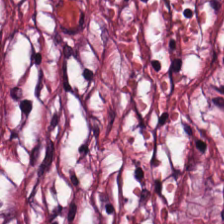224×224 pixel tile · brightfield · H&E stain. Predominantly cancer-associated stroma.
